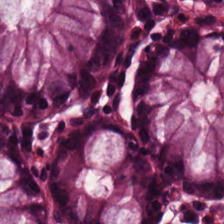Stain: hematoxylin and eosin.
Predominant tissue: benign colonic mucosa.
